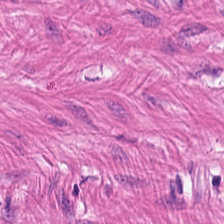Stain: H&E-stained tissue section.
Preparation: FFPE tissue section.
Tissue class: muscularis.
